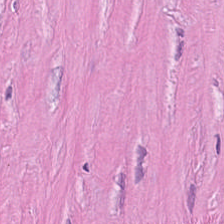This field is cancer-associated stroma.
